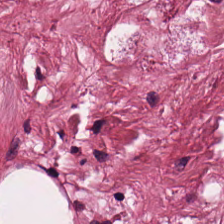Brightfield microscopy. H&E — Predominantly tumor stroma.
